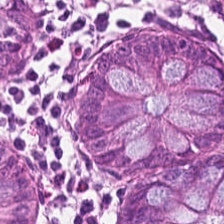Hematoxylin-and-eosin section: normal colon mucosa.
